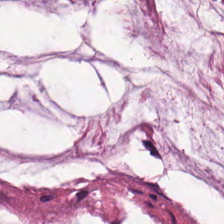Stain: H&E.
Tissue class: extracellular mucin.
